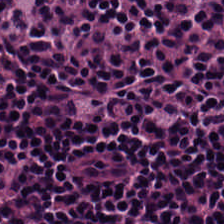H&E-stained tissue section · 0.5 microns per pixel · formalin-fixed paraffin-embedded section.
Q: What tissue type is shown here?
A: It is lymphocytic infiltrate.
